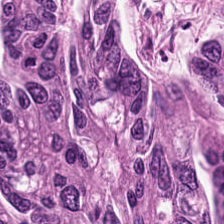H&E stain. Tissue — colorectal adenocarcinoma epithelium.
